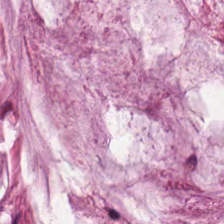Finding — mucus.
